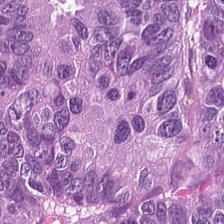Hematoxylin and eosin · FFPE. Q: What is shown here?
A: It is malignant epithelium.
